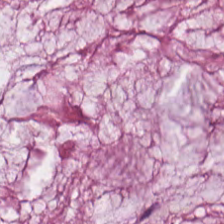Stain: H&E stain.
Predominant tissue: extracellular mucin.
